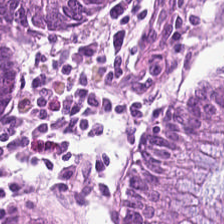Classification = normal colon mucosa.
